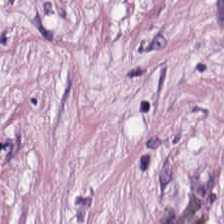20× equivalent magnification. 224×224 px tile. H&E-stained tissue section. Showing tumor stroma.
